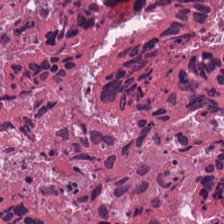Showing cellular debris.
